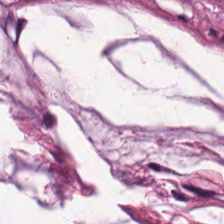Tissue type = mucin.
